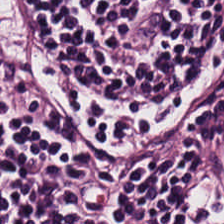Brightfield microscopy · hematoxylin-and-eosin stained section · FFPE tissue section.
Lymphocytes.
